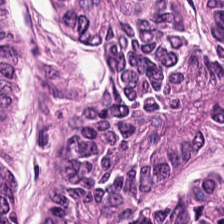Brightfield microscopy · 0.5 microns per pixel · H&E stain.
Tissue type: adenocarcinoma.
